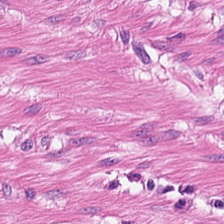The tissue here is muscularis.
